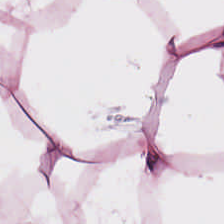Hematoxylin-and-eosin stained section — Classification = adipose.
